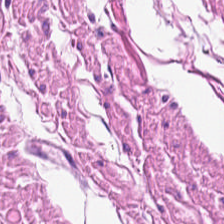H&E stain — {"tissue_type": "muscularis"}
